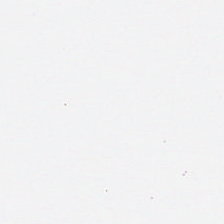H&E-stained tissue section. Q: What is shown in this field?
A: The field shows empty background.
